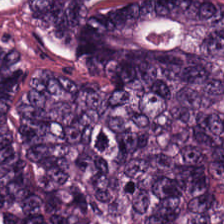Hematoxylin-and-eosin stained section.
The tissue here is colorectal adenocarcinoma.
